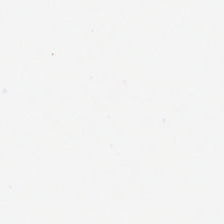H&E-stained tissue section.
This field is background (no tissue).
